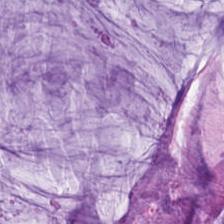FFPE; hematoxylin-and-eosin stained section.
Predominant tissue — mucus.
